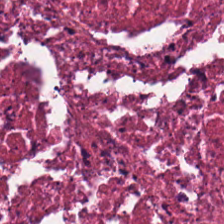Hematoxylin and eosin · WSI patch · 224×224 pixel tile — Tissue class — cellular debris.
